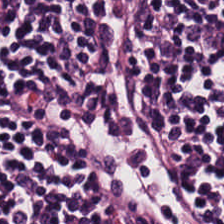Hematoxylin and eosin — Tissue class — lymphocyte aggregate.
